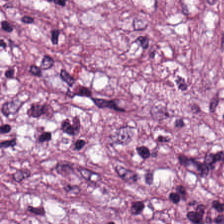Hematoxylin-and-eosin section: tumor-associated stroma.
